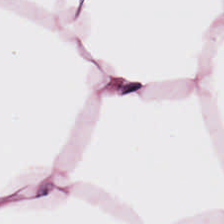Hematoxylin and eosin · WSI patch · 224×224 px patch — The predominant tissue is adipose tissue.
